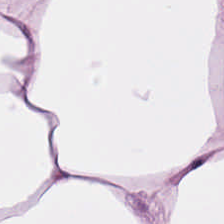Hematoxylin-and-eosin stained section — Finding — adipose.
